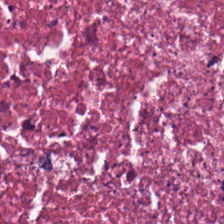FFPE. H&E stain. WSI patch. Tissue = necrotic debris.
